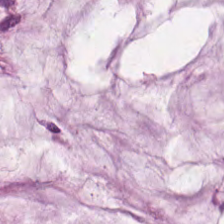This patch shows mucus.
